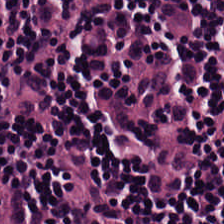H&E; WSI patch; 0.5 microns per pixel. Histology — lymphocyte aggregate.
